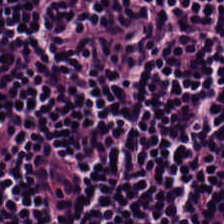Stain: H&E stain.
Tissue class: lymphocytes.
